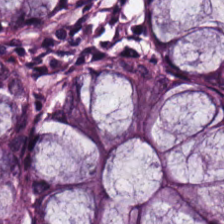H&E — {"tissue_type": "benign colonic mucosa"}
